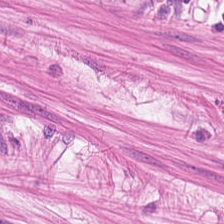H&E stain · FFPE tissue section.
Showing smooth-muscle tissue.
